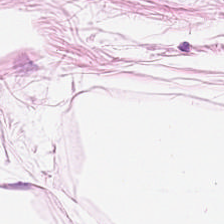Stain: hematoxylin and eosin.
Acquisition: whole-slide-image patch.
Predominant tissue: adipose tissue.
